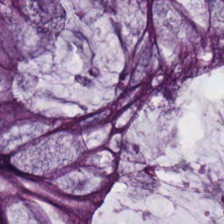H&E — This field is non-neoplastic colon mucosa.
